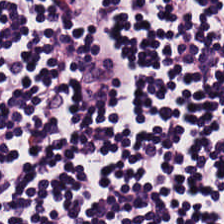Hematoxylin-and-eosin stained section. FFPE.
Histology — lymphoid infiltrate.
